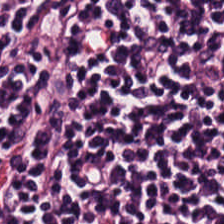H&E.
The classification is lymphocyte aggregate.
